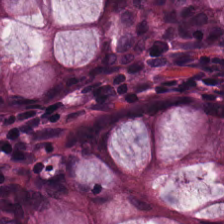H&E stain.
The tissue is non-neoplastic colon mucosa.
